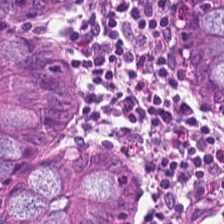Q: What is the predominant tissue type?
A: It is normal colon mucosa.
